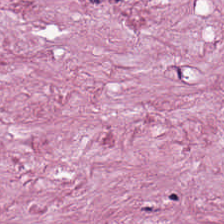FFPE tissue section. H&E stain. 0.5 microns per pixel.
Predominantly tumor-associated stroma.
